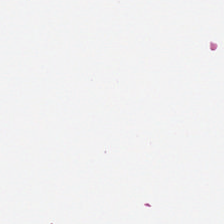Hematoxylin and eosin.
Field content: empty background.
